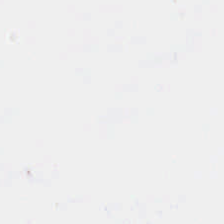224×224 px tile. H&E. Q: What is shown here?
A: The field shows empty background.
